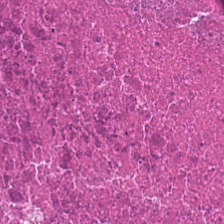H&E; FFPE — Q: What does this patch show?
A: This is cellular debris.
